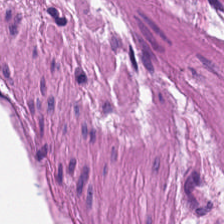H&E stain · WSI patch.
Smooth muscle.
